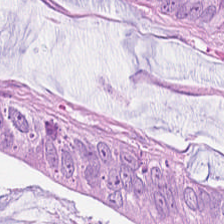Hematoxylin-and-eosin stained section.
Predominantly tumor epithelium.
